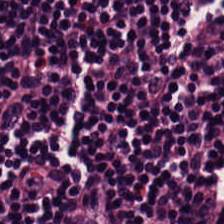H&E stain. FFPE tissue section. Tissue type — lymphocytic infiltrate.
